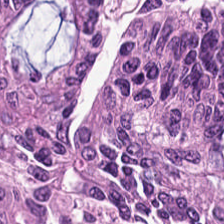H&E stain. This patch shows malignant epithelium.
